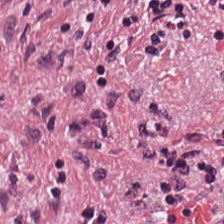Tissue type: cancer-associated stroma.
